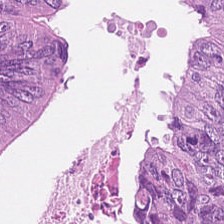224×224 px patch · H&E · WSI patch. Tissue class: colorectal adenocarcinoma.
